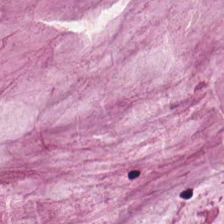Stain: hematoxylin and eosin.
Classification: mucus.
